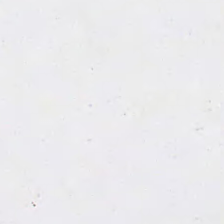Hematoxylin-and-eosin stained section. The content is no tissue.
